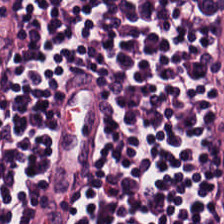Tissue class: lymphocytes.
